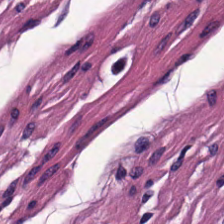The tissue class is muscularis.
